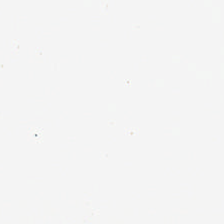Hematoxylin-and-eosin stained section.
No tissue present; background only.
